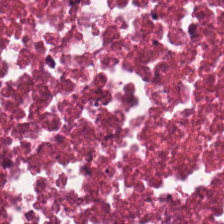Impression → debris.
